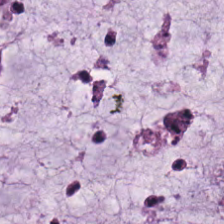Hematoxylin and eosin. 0.5 microns per pixel. 224×224 px tile.
Classification = mucin.
